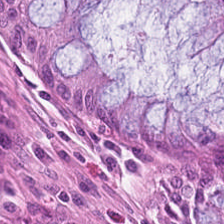Hematoxylin-and-eosin stained section · 0.5 microns per pixel · 224×224 pixel tile.
This patch shows benign colonic mucosa.
